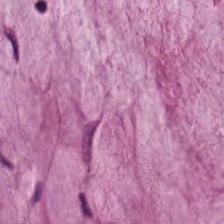The tissue here is mucus.
